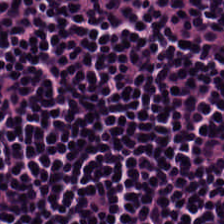Hematoxylin-and-eosin stained section — Q: What type of tissue is this?
A: It is lymphocyte aggregate.
